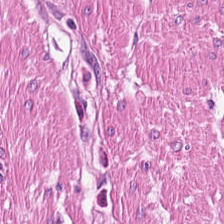H&E stain.
Q: What tissue is shown?
A: This is muscularis.
